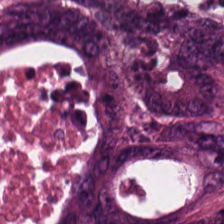This patch shows colorectal adenocarcinoma.
